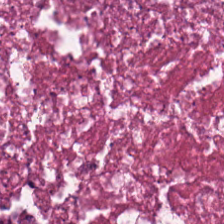{"tissue_type": "debris"}
